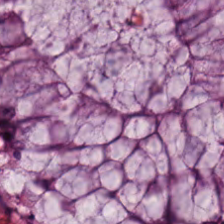H&E-stained tissue section.
This field is benign colonic mucosa.
